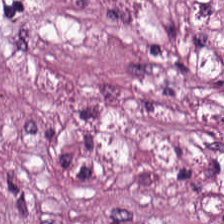224×224 px patch · H&E stain. This field is desmoplastic stroma.
